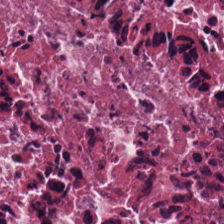Stain: hematoxylin and eosin.
Predominant tissue: necrotic debris.
